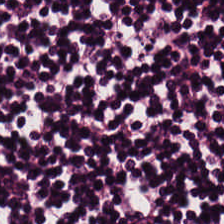This field is lymphocytes.
